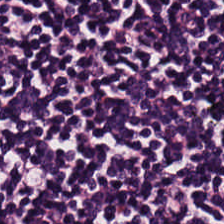H&E-stained tissue section.
Predominantly lymphocytic infiltrate.
